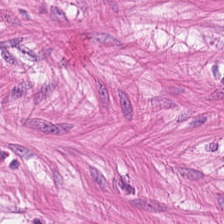H&E stain.
Q: What tissue type is shown here?
A: It is smooth muscle.
